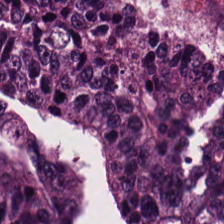Hematoxylin-and-eosin stained section — Malignant epithelium.
